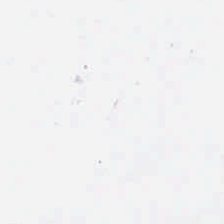Finding → empty background.
